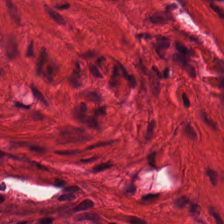H&E — Tissue class: smooth muscle.
